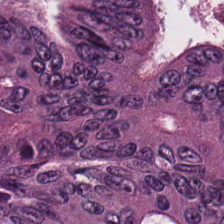H&E stain.
This field is tumor epithelium.
